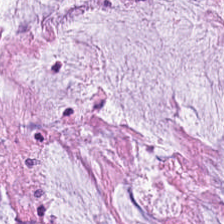Hematoxylin and eosin. FFPE tissue section — Q: What is the predominant tissue type?
A: It is mucus.
